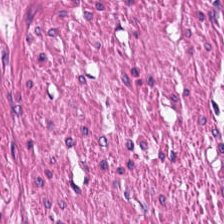H&E. This patch shows smooth-muscle tissue.
